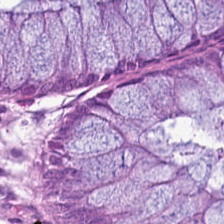Stain: H&E stain.
Classification: normal colon mucosa.
